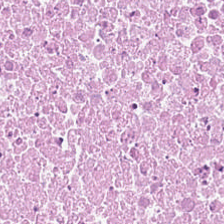H&E-stained tissue section · brightfield · FFPE tissue section — Tissue: debris.
